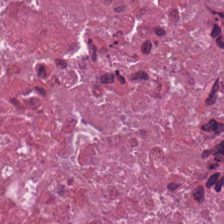Formalin-fixed paraffin-embedded section · hematoxylin and eosin.
Debris.
